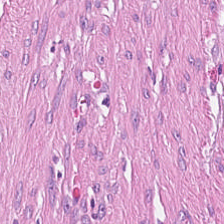Stain: H&E.
Preparation: FFPE.
Acquisition: brightfield microscopy.
Predominant tissue: tumor-associated stroma.
